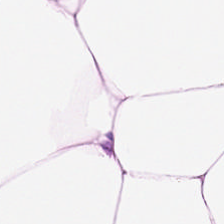Fat tissue.
